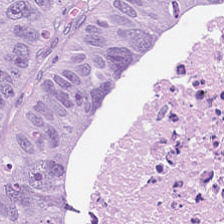This patch shows colorectal adenocarcinoma epithelium.
